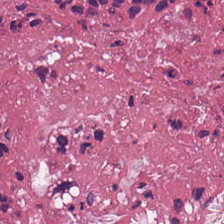Predominant tissue — debris.
